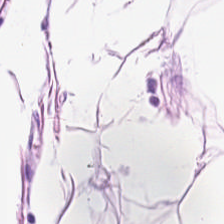Q: What is shown in this field?
A: The field shows adipocytes.
